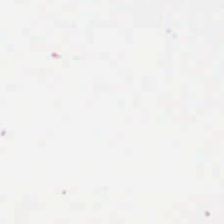Hematoxylin and eosin. Empty field — no tissue.
